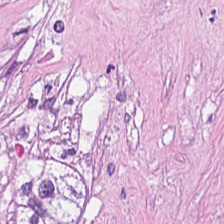H&E-stained tissue section; WSI patch.
Impression → debris.
